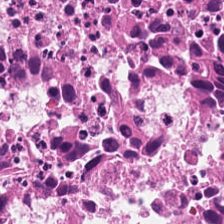Hematoxylin and eosin.
The predominant tissue is debris.
